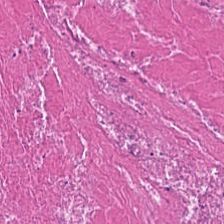Hematoxylin-and-eosin stained section. FFPE tissue section. Brightfield microscopy — The predominant tissue is debris.
